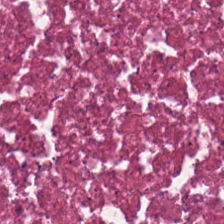H&E.
The tissue here is necrotic debris.
